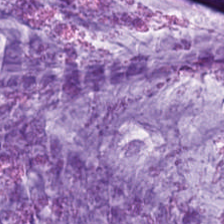H&E; 0.5 µm per pixel; 224×224 px patch. The tissue type is extracellular mucin.
